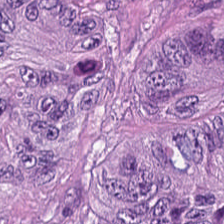0.5 µm/px. Formalin-fixed paraffin-embedded section. Hematoxylin and eosin. Q: What type of tissue is this?
A: It is tumor epithelium.
